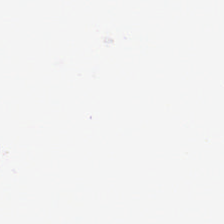H&E stain · 224×224 px patch · FFPE tissue section — This field is background (no tissue).
